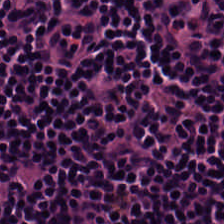WSI patch; hematoxylin and eosin; formalin-fixed paraffin-embedded section. Predominant tissue — lymphocytic infiltrate.
